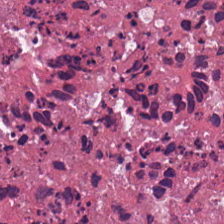H&E — The tissue type is cellular debris.
